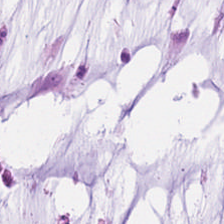Tissue type: extracellular mucin.
